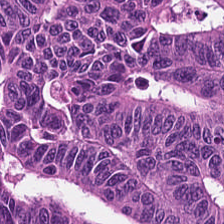H&E. 224×224 px tile. WSI patch. The predominant tissue is adenocarcinoma.
